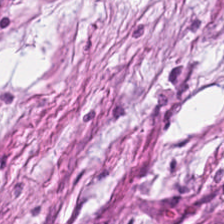Predominantly cancer-associated stroma.
